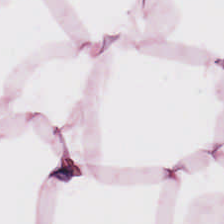H&E-stained tissue section.
The tissue here is adipose.
